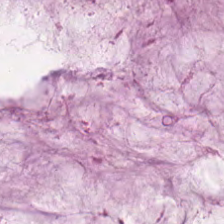Hematoxylin-and-eosin stained section — Tissue type — mucin.
